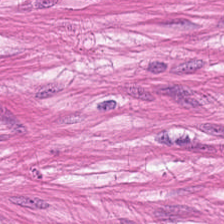Brightfield. H&E stain.
Tissue — muscularis.
